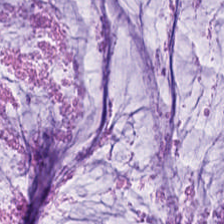H&E.
This patch shows extracellular mucin.
